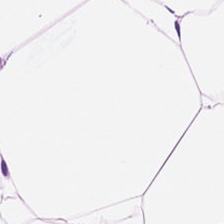Stain: hematoxylin-and-eosin stained section.
Acquisition: brightfield.
Predominant tissue: adipose.
